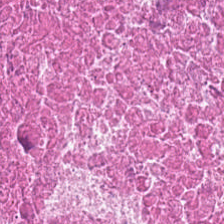H&E stain. Debris.
